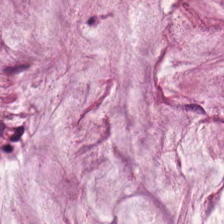Tissue class: extracellular mucin.
